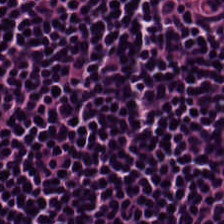H&E-stained tissue section — Showing lymphocytes.
